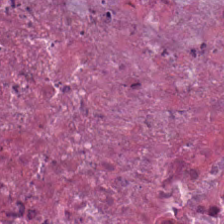0.5 microns per pixel · hematoxylin-and-eosin stained section.
The predominant tissue is debris.
